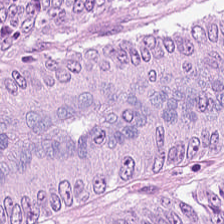Formalin-fixed paraffin-embedded section · 224×224 px patch · hematoxylin and eosin. The tissue here is malignant epithelium.
